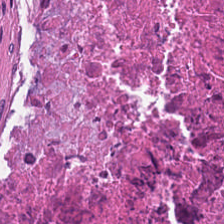Hematoxylin-and-eosin stained section.
{"tissue_type": "cellular debris"}
